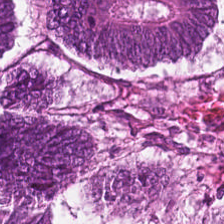H&E-stained section; the field shows colorectal adenocarcinoma epithelium.
